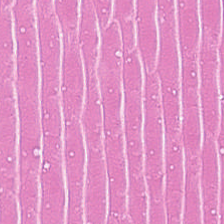Hematoxylin and eosin. Cellular debris.
